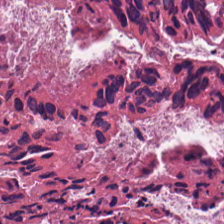H&E-stained tissue section showing cellular debris.
